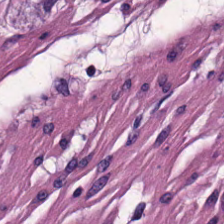WSI patch · H&E stain. {"tissue_type": "muscularis"}
